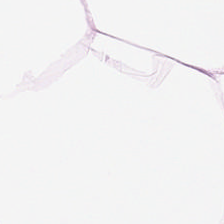Stain: H&E-stained tissue section.
Predominant tissue: adipose.
